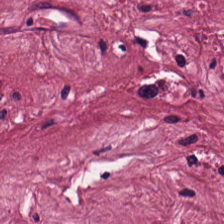Hematoxylin-and-eosin stained section. {"tissue_type": "tumor stroma"}
